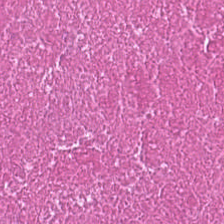Stain: H&E stain.
Tile size: 224×224 px tile.
Classification: cellular debris.
